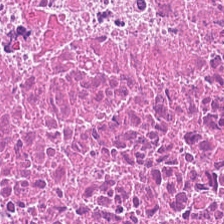Tissue class: necrotic debris.
